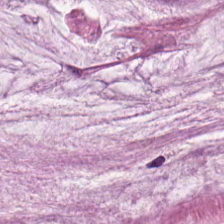Hematoxylin and eosin · formalin-fixed paraffin-embedded section. Q: What is shown here?
A: The field shows extracellular mucin.
